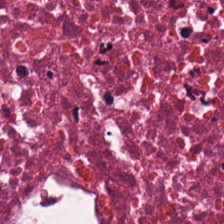Hematoxylin-and-eosin stained section · 224×224 pixel tile.
The tissue type is necrotic debris.
